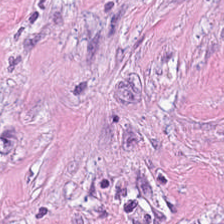Predominantly tumor stroma.
